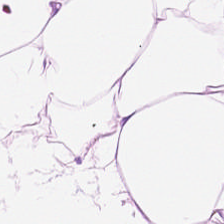Stain: hematoxylin-and-eosin stained section.
Predominant tissue: fat tissue.
